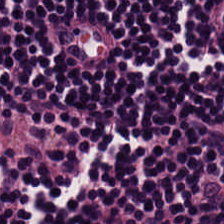224×224 pixel tile; H&E stain. Histology → lymphocyte aggregate.
